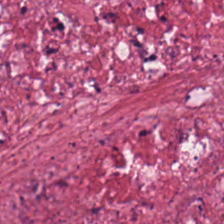Brightfield microscopy. H&E-stained tissue section. FFPE tissue section.
Tissue = tumor-associated stroma.
